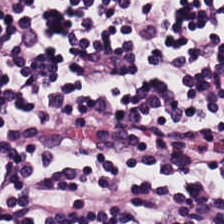H&E stain.
Q: Classify this patch.
A: Lymphocytic infiltrate.
